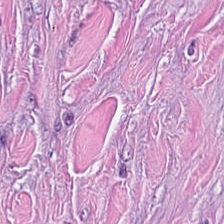0.5 µm/px; H&E — This patch shows tumor-associated stroma.
